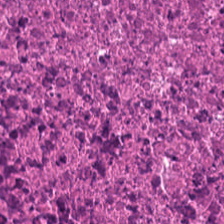H&E. {"tissue_type": "cellular debris"}
